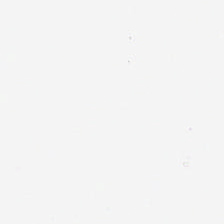Background — no tissue in this field.
